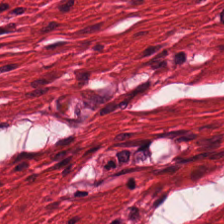Classification — smooth-muscle tissue.
